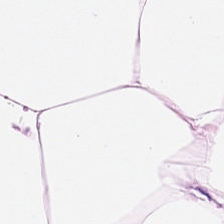The tissue type is adipose.
